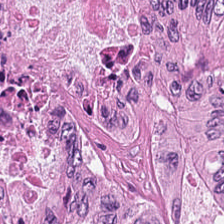Whole-slide-image patch. H&E.
Tissue type — adenocarcinoma.
